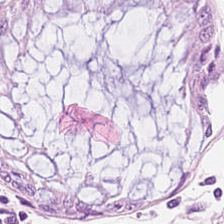Predominantly normal colonic mucosa.
